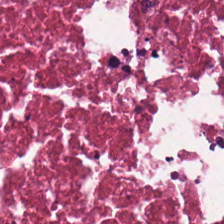H&E stain · 224×224 px patch · 0.5 µm per pixel. Predominantly cellular debris.
